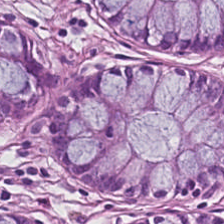Tissue: non-neoplastic colon mucosa.
